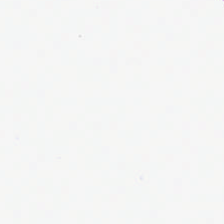H&E stain — Empty field — background (no tissue).
